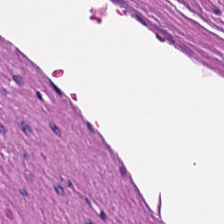Hematoxylin-and-eosin stained section — Q: What is the predominant tissue type?
A: Smooth muscle.
